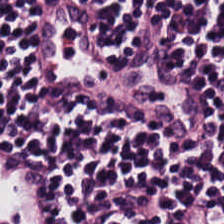Stain: H&E.
Predominant tissue: lymphoid infiltrate.
